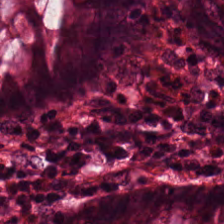Stain: H&E stain.
Resolution: 0.5 µm/px.
Acquisition: brightfield.
Tissue: non-neoplastic colon mucosa.
